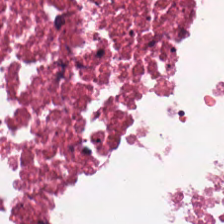Hematoxylin and eosin · formalin-fixed paraffin-embedded section — This patch shows necrotic debris.
